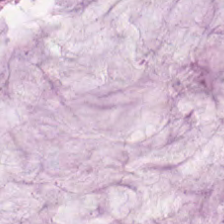H&E stain — This field is mucin.
